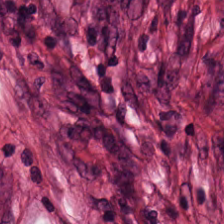The predominant tissue is desmoplastic stroma.
